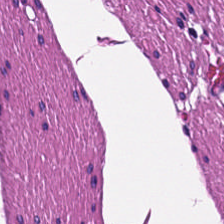H&E stain. Predominant tissue: smooth muscle.
